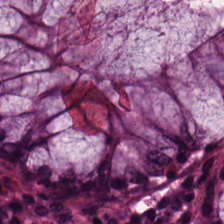Q: What type of tissue is this?
A: Non-neoplastic colon mucosa.
